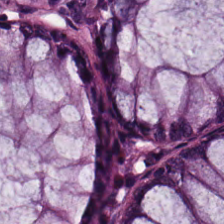20× equivalent magnification; WSI patch; hematoxylin-and-eosin stained section — The tissue is normal colon mucosa.
